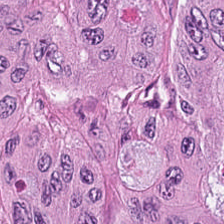Hematoxylin and eosin. Brightfield microscopy.
Predominant tissue = adenocarcinoma.
